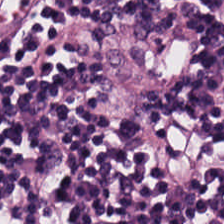H&E stain — This patch shows lymphoid infiltrate.
